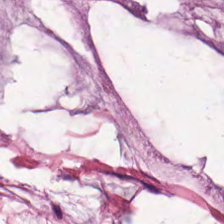Hematoxylin-and-eosin stained section — Q: What is the predominant tissue type?
A: The field shows mucus.
